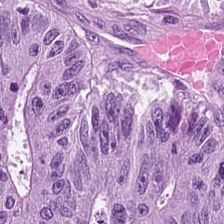Stain: hematoxylin and eosin.
Tissue type: adenocarcinoma.
